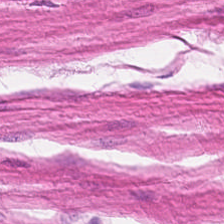FFPE. Hematoxylin-and-eosin stained section.
Q: What is shown here?
A: This is smooth muscle.
